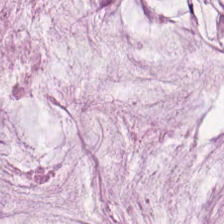Formalin-fixed paraffin-embedded section; H&E-stained tissue section. Extracellular mucin.
